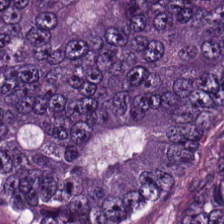H&E stain. Showing tumor epithelium.
